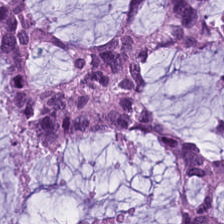H&E stain. Showing mucus.
